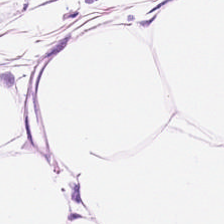Hematoxylin-and-eosin stained section. 224×224 px patch. Impression — adipose.
